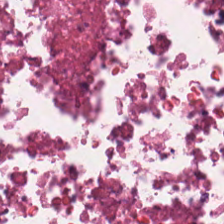Hematoxylin-and-eosin stained section. Q: Identify the tissue.
A: Debris.
